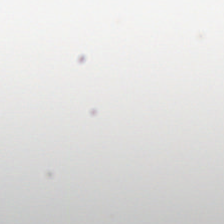224×224 px tile. H&E — Q: What is shown here?
A: The field shows no tissue.
